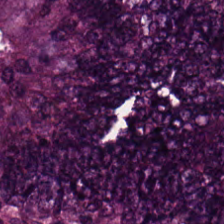Hematoxylin and eosin. The predominant tissue is malignant epithelium.
